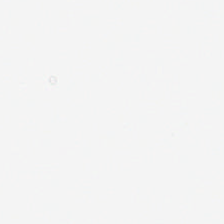Hematoxylin-and-eosin stained section · FFPE. Q: What does this patch show?
A: The field shows no tissue.
